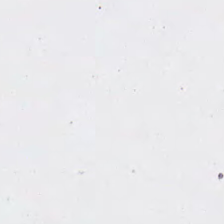WSI patch · H&E. Empty field — empty background.
